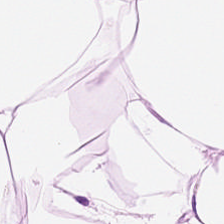FFPE tissue section · H&E-stained tissue section. Histology — adipose.
